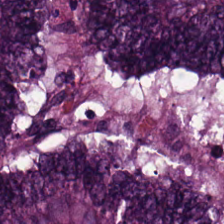Whole-slide-image patch · H&E-stained tissue section.
Histology — adenocarcinoma.
